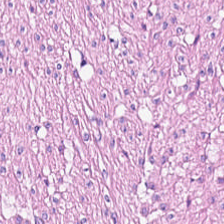Hematoxylin and eosin. Q: What tissue type is shown here?
A: This is smooth muscle.
